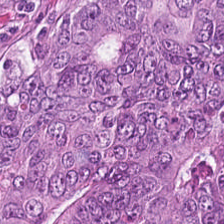224×224 px tile. Whole-slide-image patch. Hematoxylin and eosin — Q: What tissue type is shown here?
A: The field shows malignant epithelium.
